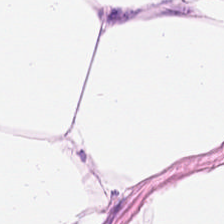Stain: hematoxylin-and-eosin stained section.
Classification: adipose.
